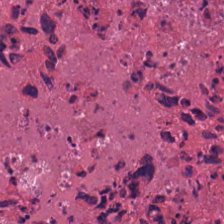Hematoxylin and eosin — Tissue = cellular debris.
